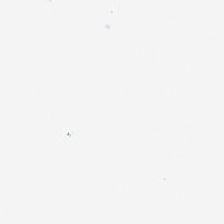H&E-stained tissue section — Finding — empty background.
